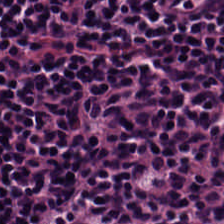Hematoxylin and eosin; brightfield microscopy. Tissue type: lymphocytes.
